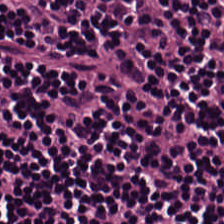Finding → lymphocyte aggregate.
